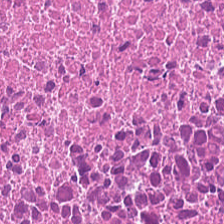H&E — Cellular debris.
